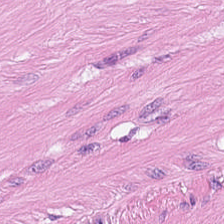Hematoxylin and eosin — Tissue: smooth-muscle tissue.
